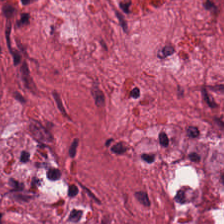FFPE · hematoxylin and eosin.
Impression → desmoplastic stroma.
